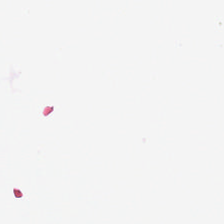Brightfield. H&E stain. 0.5 microns per pixel — {"content": "empty background"}
